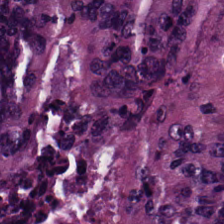The predominant tissue is tumor epithelium.
